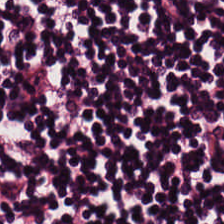H&E. Q: What does this patch show?
A: It is lymphocyte aggregate.
